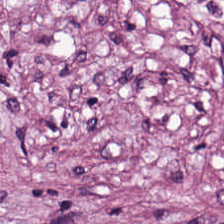Hematoxylin and eosin. 0.5 microns per pixel.
Histology → desmoplastic stroma.
